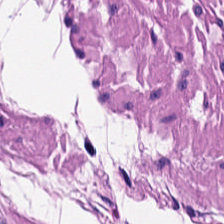H&E-stained tissue section — Muscularis.
